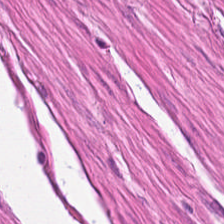Hematoxylin-and-eosin stained section. Q: What type of tissue is this?
A: Smooth-muscle tissue.
